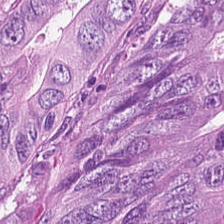WSI patch; H&E-stained tissue section — Q: Identify the tissue.
A: Tumor epithelium.
